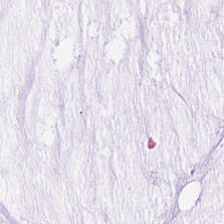224×224 pixel tile. Hematoxylin and eosin. This patch shows mucin.
